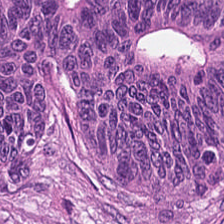Q: What is shown here?
A: This is colorectal adenocarcinoma epithelium.
